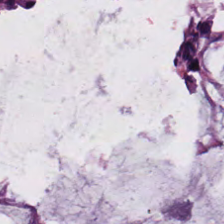{"tissue_type": "normal colonic mucosa"}
